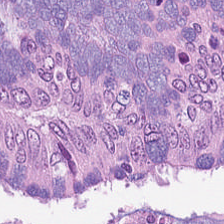Hematoxylin-and-eosin stained section · 224×224 pixel tile — Showing colorectal adenocarcinoma.
